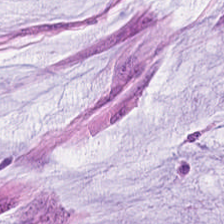H&E.
Q: What does this patch show?
A: The field shows mucus.
